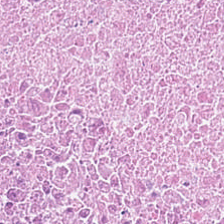H&E stain. Impression — cellular debris.
